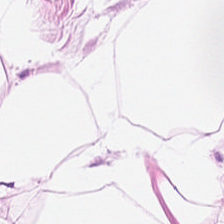Predominantly fat tissue.
